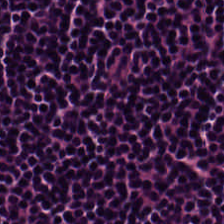0.5 µm per pixel · H&E · 224×224 pixel tile. Histology → lymphocyte aggregate.
